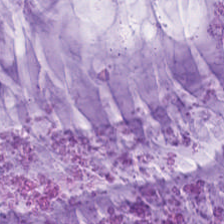Stain: H&E-stained tissue section.
Classification: mucus.
